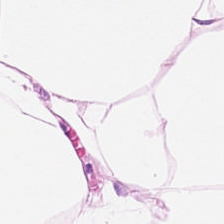Stain: H&E-stained tissue section.
Classification: adipocytes.
